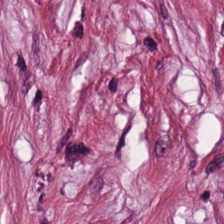224×224 pixel tile · hematoxylin and eosin — Classification = tumor stroma.
